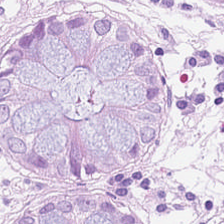H&E-stained tissue section.
Tissue type — normal colon mucosa.
